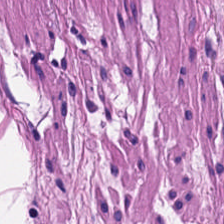H&E stain — Q: What does this patch show?
A: Smooth-muscle tissue.
